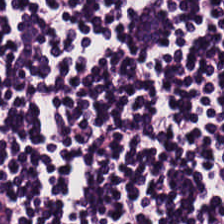The tissue type is lymphocytes.
